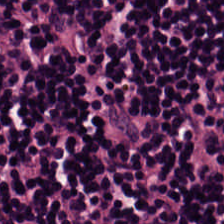Whole-slide-image patch · H&E. The predominant tissue is lymphocytes.
